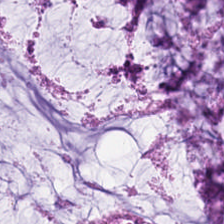Hematoxylin-and-eosin stained section.
This patch shows extracellular mucin.
